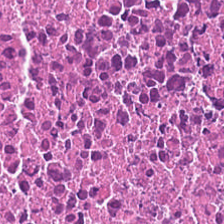20× equivalent magnification; H&E — Q: What does this patch show?
A: Necrotic debris.
